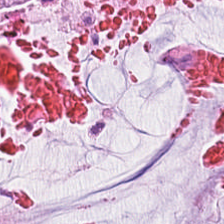H&E-stained tissue section showing mucin.
